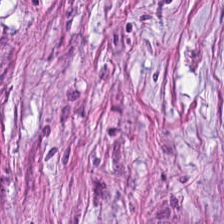20× equivalent magnification; hematoxylin and eosin. Tissue type: cancer-associated stroma.
